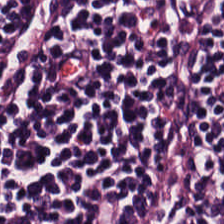FFPE tissue section. Hematoxylin and eosin — This patch shows lymphocyte aggregate.
